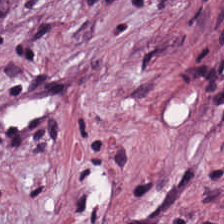H&E-stained tissue section.
The tissue class is cancer-associated stroma.
